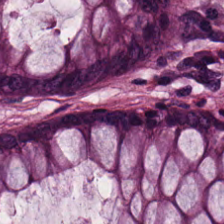224×224 px tile; 20× equivalent magnification; hematoxylin and eosin — This field is non-neoplastic colon mucosa.
